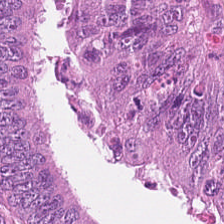H&E stain — The tissue here is colorectal adenocarcinoma epithelium.
